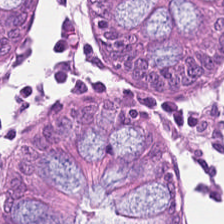H&E.
Predominantly normal colonic mucosa.
